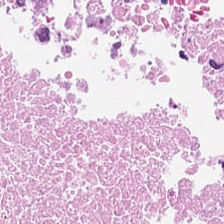The predominant tissue is cellular debris.
